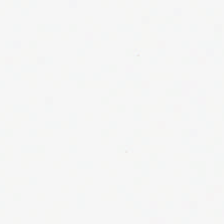This patch shows empty background.
